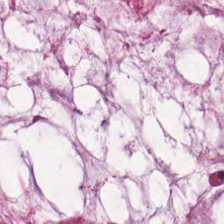H&E; brightfield.
Tissue class: mucin.
